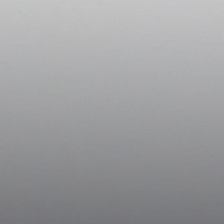H&E. Q: What does this patch show?
A: The field shows no tissue.
